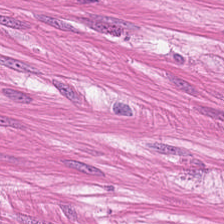H&E-stained tissue section. This patch shows smooth-muscle tissue.
